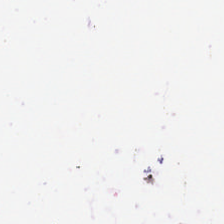Hematoxylin-and-eosin stained section.
Background — no tissue in this field.
